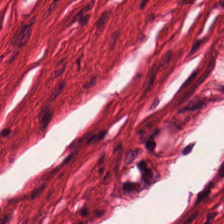224×224 px patch; hematoxylin and eosin. Smooth-muscle tissue.
